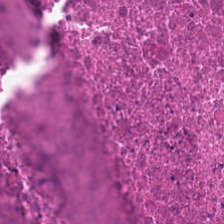Hematoxylin-and-eosin section: necrotic debris.
